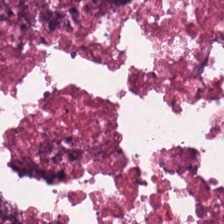Stain: H&E-stained tissue section.
Resolution: 0.5 µm per pixel.
Classification: debris.
